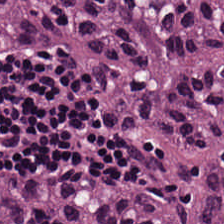Predominantly colorectal adenocarcinoma epithelium.
